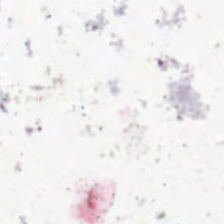224×224 px tile · H&E.
Field content — background.
